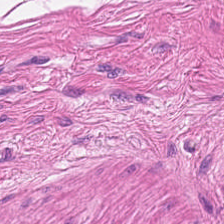Stain: hematoxylin-and-eosin stained section.
Tile size: 224×224 px tile.
Tissue type: muscularis.
